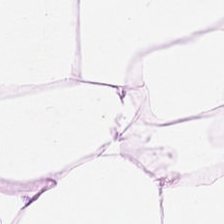H&E stain.
Tissue class = adipose.
